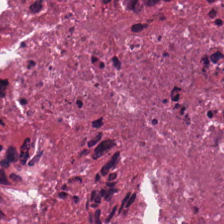Whole-slide-image patch. Hematoxylin-and-eosin stained section. 224×224 px tile. {"tissue_type": "necrotic debris"}
